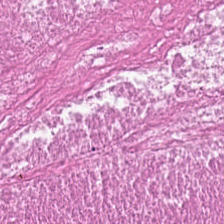Stain: H&E stain.
Classification: necrotic debris.
